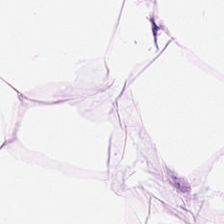0.5 µm per pixel; H&E stain. Showing fat tissue.
